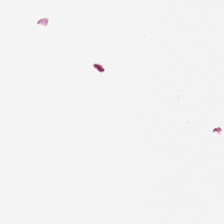Hematoxylin and eosin.
Empty field — empty background.
